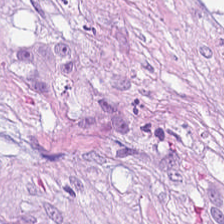Stain: hematoxylin-and-eosin stained section.
Predominant tissue: mucus.
